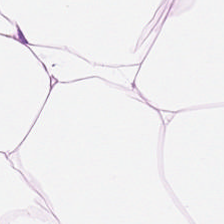Q: Classify this patch.
A: Adipose tissue.
